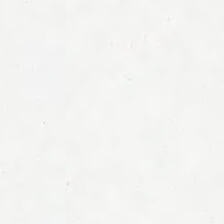H&E stain. Finding — no tissue.
